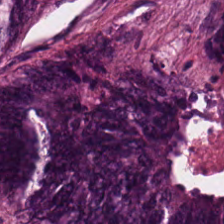{"tissue_type": "colorectal adenocarcinoma epithelium"}
